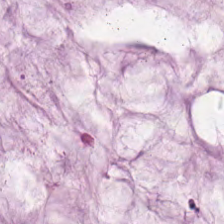Hematoxylin-and-eosin stained section; FFPE — The tissue is mucin.
